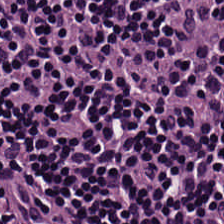Hematoxylin and eosin. The tissue class is lymphocyte aggregate.
